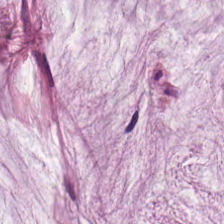Q: What is the predominant tissue type?
A: Extracellular mucin.
